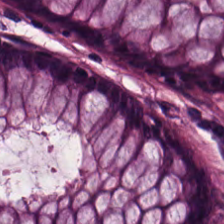Brightfield microscopy · hematoxylin-and-eosin stained section — Q: What type of tissue is this?
A: It is non-neoplastic colon mucosa.
